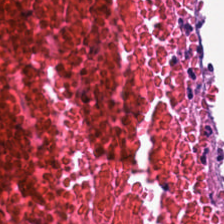H&E-stained tissue section showing necrotic debris.
